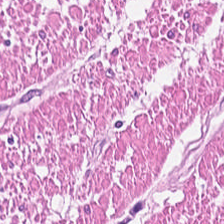Hematoxylin-and-eosin stained section · 224×224 px patch. Tissue: smooth muscle.
